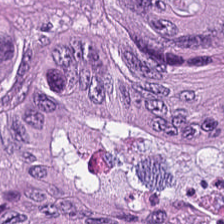H&E-stained tissue section. 224×224 pixel tile.
{"tissue_type": "adenocarcinoma"}
